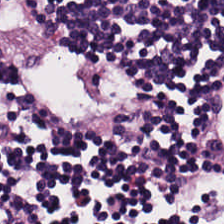Hematoxylin-and-eosin section: lymphocyte aggregate.
